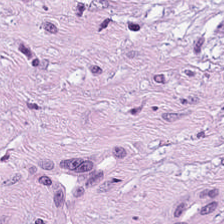H&E; whole-slide-image patch.
Q: What is the predominant tissue type?
A: The field shows tumor-associated stroma.
